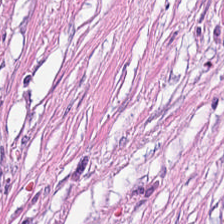{"tissue_type": "desmoplastic stroma"}
